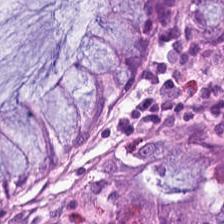Q: What tissue type is shown here?
A: This is non-neoplastic colon mucosa.
